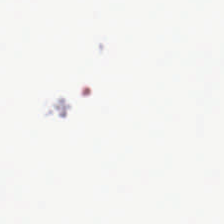Hematoxylin-and-eosin stained section · WSI patch. Background — no tissue in this field.
